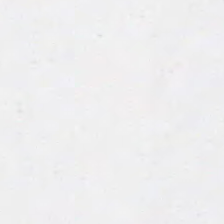Hematoxylin and eosin — Background — no tissue in this field.
